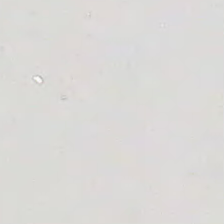H&E. Whole-slide-image patch. This field is background (no tissue).
